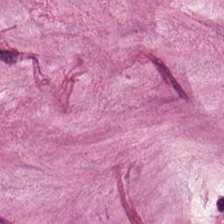H&E — Classification — mucus.
